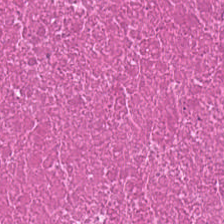H&E-stained tissue section.
This patch shows debris.
